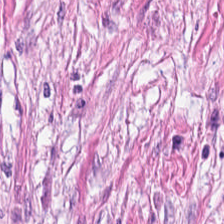Tissue type — tumor-associated stroma.
